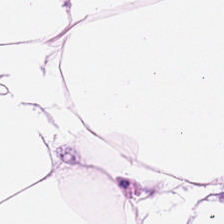H&E. Classification — adipose.
